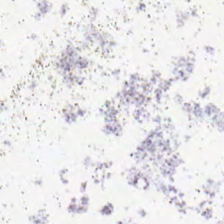Empty field — background.
